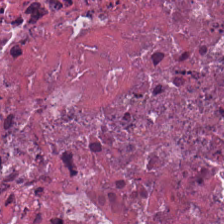H&E; formalin-fixed paraffin-embedded section. Q: Classify this patch.
A: The field shows necrotic debris.
